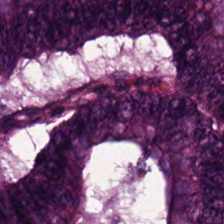FFPE. 224×224 pixel tile. H&E stain. Predominantly colorectal adenocarcinoma.
